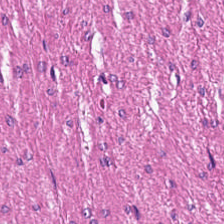H&E. 224×224 px patch.
The predominant tissue is smooth muscle.
